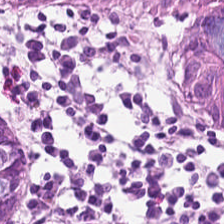0.5 µm/px. WSI patch. Hematoxylin and eosin — {"tissue_type": "benign colonic mucosa"}
